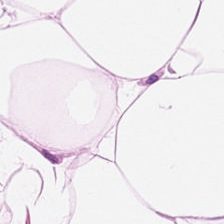224×224 px patch · H&E stain — The tissue class is adipocytes.
